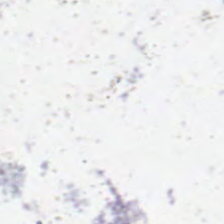Hematoxylin and eosin. No tissue.
